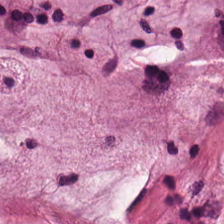H&E stain. FFPE tissue section. This field is extracellular mucin.
